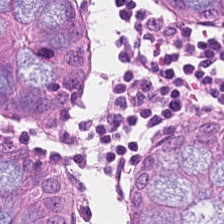The tissue class is normal colon mucosa.
